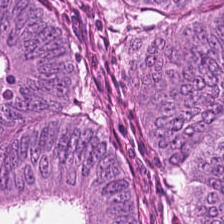224×224 pixel tile; FFPE tissue section; hematoxylin-and-eosin stained section — The tissue here is adenocarcinoma.
